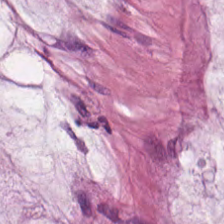Q: What tissue type is shown here?
A: The field shows mucin.
